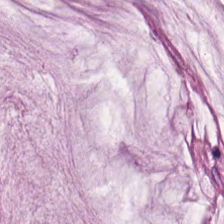FFPE tissue section. H&E stain — Q: What does this patch show?
A: The field shows extracellular mucin.
